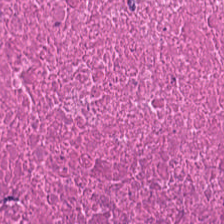H&E-stained tissue section.
Tissue — debris.
